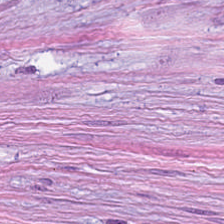Stain: hematoxylin and eosin.
Acquisition: WSI patch.
Predominant tissue: cancer-associated stroma.
